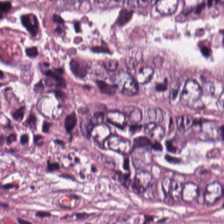Stain: hematoxylin-and-eosin stained section.
Acquisition: WSI patch.
Tissue: tumor epithelium.
